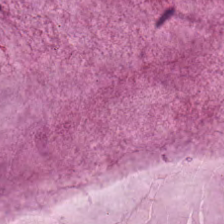H&E stain.
Tissue — mucin.
